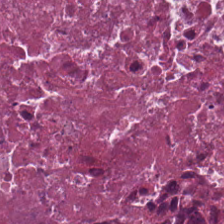FFPE tissue section. H&E. The predominant tissue is necrotic debris.
